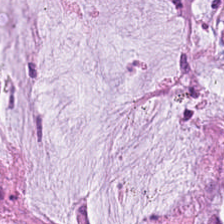224×224 pixel tile. H&E. Showing mucin.
